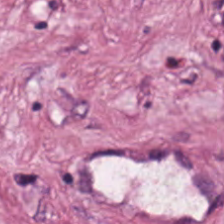Formalin-fixed paraffin-embedded section. H&E-stained tissue section. The tissue class is desmoplastic stroma.
